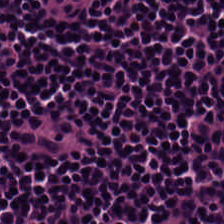H&E-stained tissue section. The tissue class is lymphoid infiltrate.
